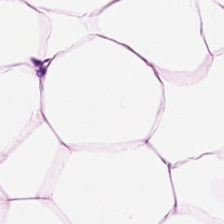FFPE tissue section · H&E — Finding — adipose.
